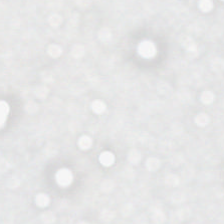Stain: H&E.
Classification: no tissue.
